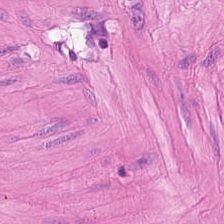224×224 px tile. H&E-stained tissue section.
Smooth-muscle tissue.
